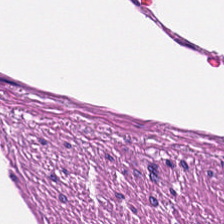Hematoxylin and eosin. Smooth-muscle tissue.
